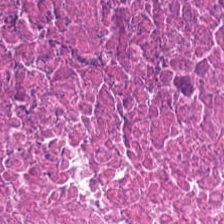H&E stain.
This field is necrotic debris.
